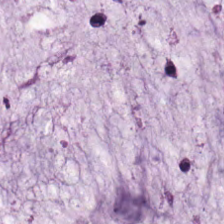Stain: H&E-stained tissue section.
Classification: mucus.
